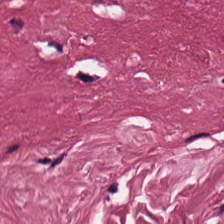Tissue class = cancer-associated stroma.
